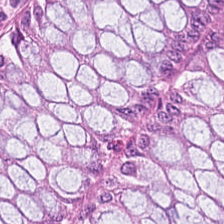0.5 µm per pixel · 224×224 px patch · H&E. The classification is normal colonic mucosa.
